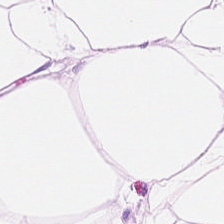20× equivalent magnification. Hematoxylin-and-eosin stained section. Brightfield. Q: Identify the tissue.
A: This is adipose tissue.
